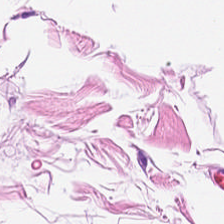H&E.
Histology → fat tissue.
